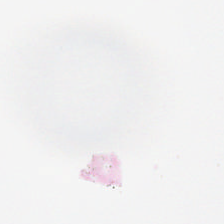H&E stain.
The field content is empty background.
